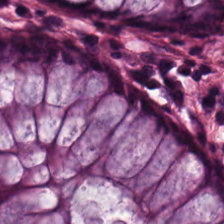H&E. Predominant tissue = benign colonic mucosa.
